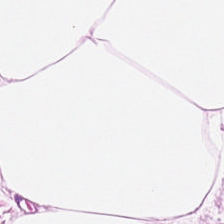Stain: H&E stain.
Predominant tissue: adipose.
